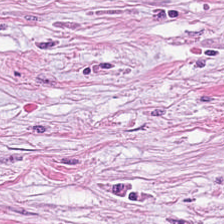WSI patch; 224×224 px patch; H&E — The tissue here is desmoplastic stroma.
